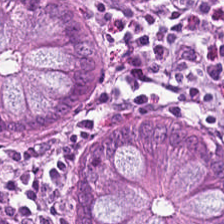0.5 µm per pixel. Hematoxylin-and-eosin stained section. FFPE tissue section — Tissue class — normal colonic mucosa.
